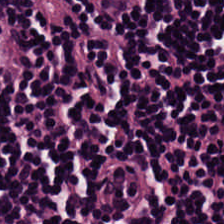H&E-stained tissue section; 0.5 microns per pixel.
Tissue class = lymphoid infiltrate.
